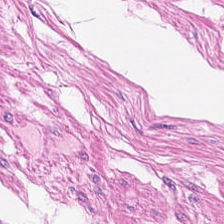Hematoxylin and eosin; whole-slide-image patch.
Q: Classify this patch.
A: Muscularis.
